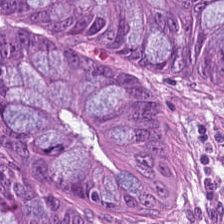H&E stain. 224×224 pixel tile.
Predominant tissue — adenocarcinoma.
